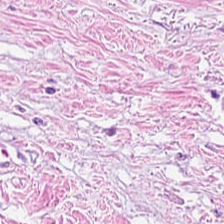Tumor stroma.
